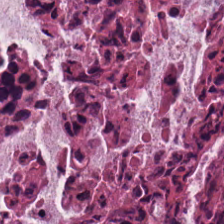Cellular debris.
